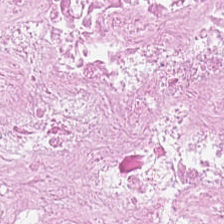H&E.
Predominantly debris.
